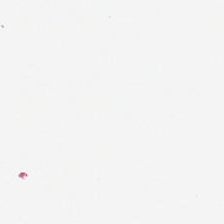H&E-stained tissue section.
Empty field — background.
